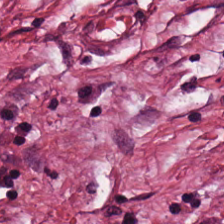H&E-stained tissue section showing cancer-associated stroma.
